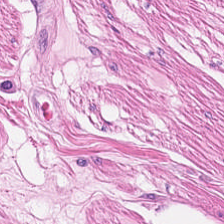Predominantly smooth muscle.
